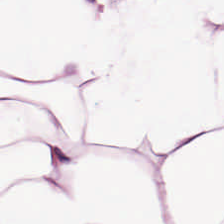224×224 px patch · hematoxylin and eosin — Fat tissue.
